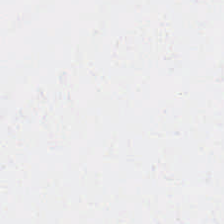This patch shows empty background.
